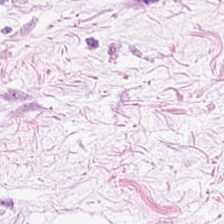Stain: H&E-stained tissue section.
Classification: adipose.
